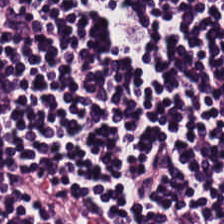The predominant tissue is lymphocytes.
